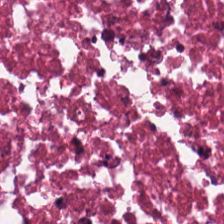Hematoxylin-and-eosin stained section · whole-slide-image patch — Impression → necrotic debris.
